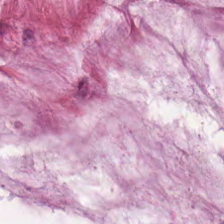H&E; 20× equivalent magnification. Tissue class = mucin.
